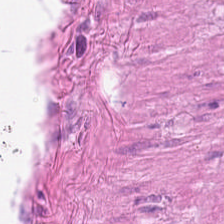Stain: hematoxylin-and-eosin stained section.
Tissue class: muscularis.
